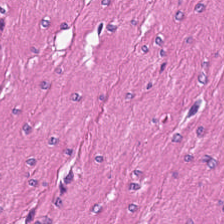H&E-stained tissue section.
Finding → smooth muscle.
